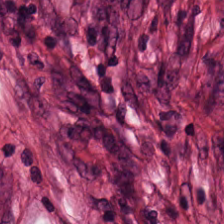H&E-stained tissue section.
The predominant tissue is cancer-associated stroma.
